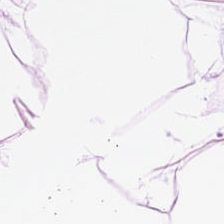Hematoxylin-and-eosin stained section; FFPE tissue section. The predominant tissue is adipocytes.
